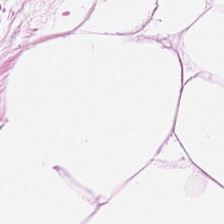Q: What does this patch show?
A: The field shows adipose.
